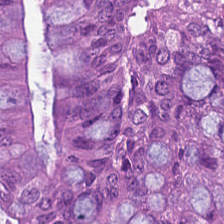Hematoxylin and eosin — Classification: colorectal adenocarcinoma.
